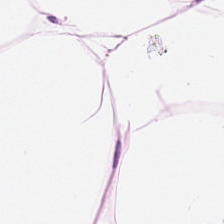{"tissue_type": "adipose"}
